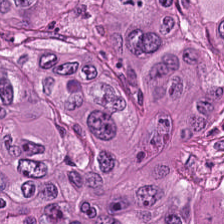Stain: H&E-stained tissue section.
Classification: colorectal adenocarcinoma.
